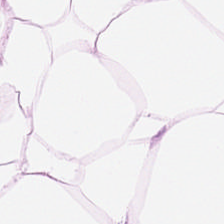WSI patch. H&E stain. Showing adipose tissue.
